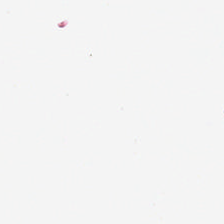Hematoxylin and eosin — Q: What is shown here?
A: No tissue.
